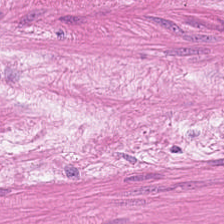20× equivalent magnification. Hematoxylin and eosin. WSI patch. The tissue type is muscularis.
